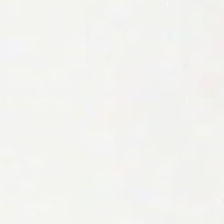Formalin-fixed paraffin-embedded section; H&E. This patch shows background (no tissue).
